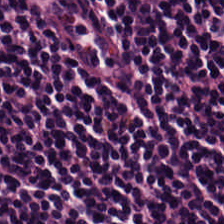Hematoxylin and eosin. Q: What type of tissue is this?
A: Lymphocytic infiltrate.
